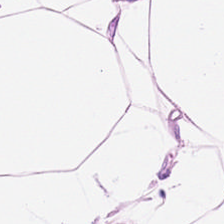Hematoxylin-and-eosin stained section · 224×224 px patch · brightfield microscopy.
Q: What does this patch show?
A: It is adipose.
